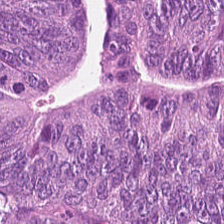0.5 µm per pixel. 224×224 pixel tile. H&E stain. Tissue = colorectal adenocarcinoma.
